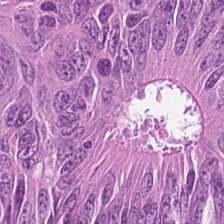H&E stain.
Tissue class = adenocarcinoma.
